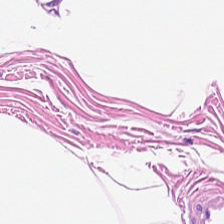H&E. Q: What type of tissue is this?
A: It is adipose.
